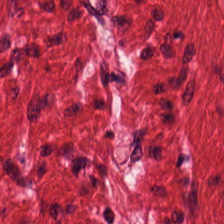Stain: hematoxylin-and-eosin stained section.
Tile size: 224×224 px tile.
Predominant tissue: muscularis.
